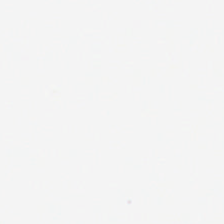224×224 px patch; H&E-stained tissue section — Classification — background.
